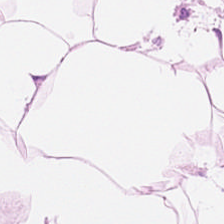H&E-stained tissue section.
Q: What is shown in this field?
A: This is fat tissue.
